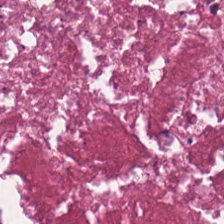Hematoxylin and eosin. Predominantly necrotic debris.
